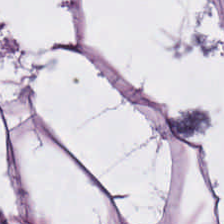H&E-stained tissue section · 224×224 px patch · WSI patch.
Showing adipocytes.
